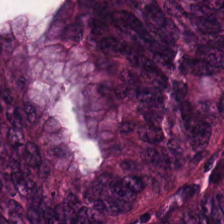20× equivalent magnification · H&E stain — Classification: colorectal adenocarcinoma epithelium.
